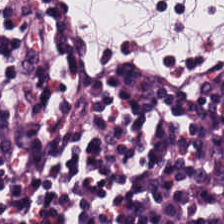Stain: H&E.
Tissue class: lymphocyte aggregate.
